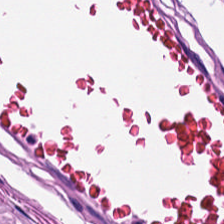H&E-stained tissue section · FFPE tissue section. This field is smooth muscle.
